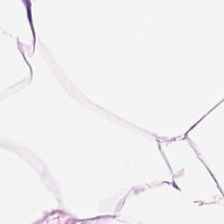H&E stain · 0.5 microns per pixel. Tissue: adipose tissue.
